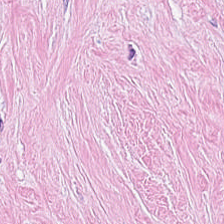H&E stain; 20× equivalent magnification. This field is tumor stroma.
